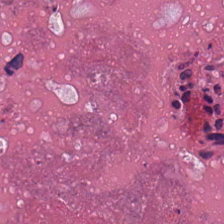H&E stain. 0.5 µm per pixel. Predominantly debris.
